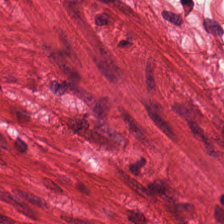Hematoxylin-and-eosin section: smooth muscle.
